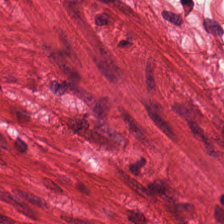Hematoxylin-and-eosin section: smooth muscle.
